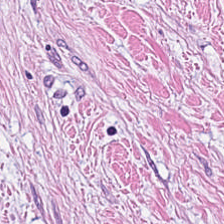FFPE. 0.5 microns per pixel. H&E stain. Tissue class = desmoplastic stroma.
